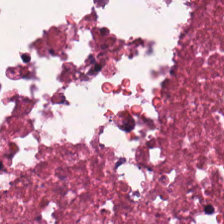Q: What does this patch show?
A: The field shows necrotic debris.
